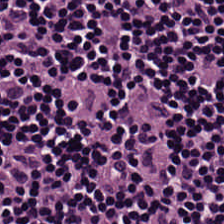Hematoxylin and eosin. The predominant tissue is lymphoid infiltrate.
